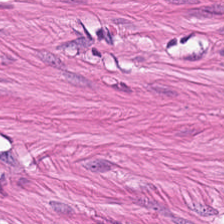0.5 µm/px · WSI patch · H&E stain.
Predominant tissue: smooth-muscle tissue.
